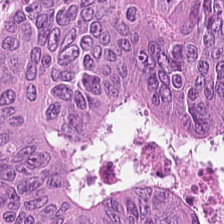224×224 px tile. H&E. Finding → malignant epithelium.
